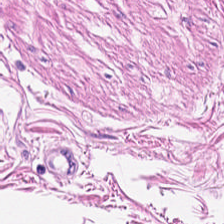Impression → muscularis.
